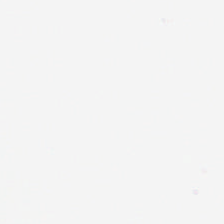Stain: H&E stain.
Classification: background.
